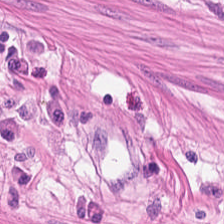Classification: muscularis.
